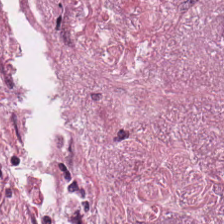Stain: H&E-stained tissue section.
Tissue type: tumor stroma.
